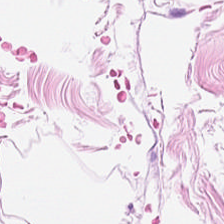H&E-stained tissue section. Tissue: fat tissue.
